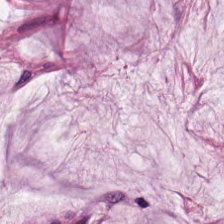Q: Classify this patch.
A: It is mucus.
